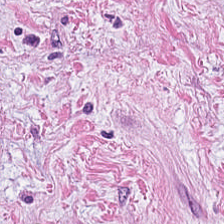Hematoxylin and eosin — Classification: cancer-associated stroma.
